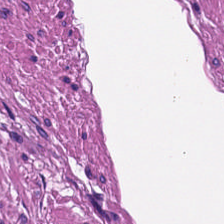Impression → smooth muscle.
